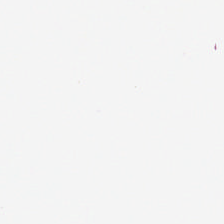Stain: H&E stain.
Resolution: 0.5 µm per pixel.
Field content: background.
